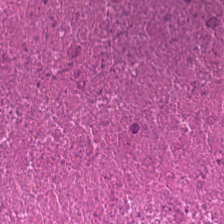Q: What is shown in this field?
A: Necrotic debris.
